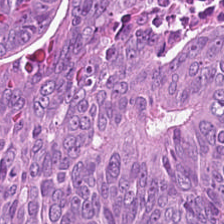Predominant tissue = adenocarcinoma.
